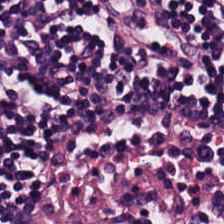Hematoxylin-and-eosin stained section. Impression → lymphocyte aggregate.
